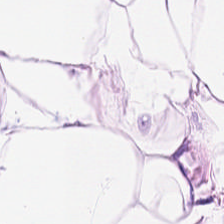FFPE tissue section; brightfield microscopy; H&E stain.
{"tissue_type": "adipose"}
